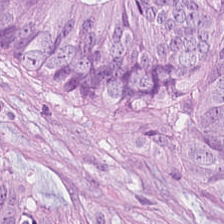Hematoxylin-and-eosin stained section. Q: What type of tissue is this?
A: This is tumor epithelium.
